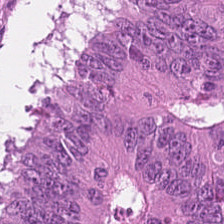FFPE tissue section · H&E stain · brightfield microscopy — Q: What is shown here?
A: This is malignant epithelium.
